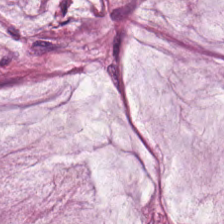Hematoxylin-and-eosin section: extracellular mucin.
